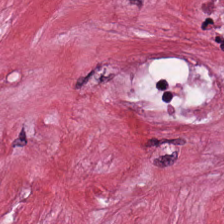Hematoxylin-and-eosin stained section; FFPE; 224×224 px patch — Q: What is the predominant tissue type?
A: This is tumor stroma.
